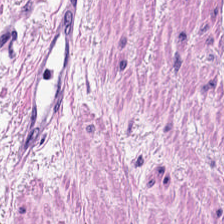Stain: H&E.
Resolution: 0.5 µm/px.
Preparation: formalin-fixed paraffin-embedded section.
Tissue class: smooth-muscle tissue.
